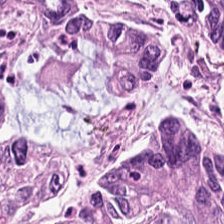Brightfield microscopy. FFPE. H&E. Q: What tissue is shown?
A: This is malignant epithelium.
